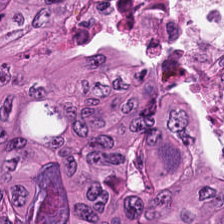Hematoxylin-and-eosin stained section — The predominant tissue is colorectal adenocarcinoma.
